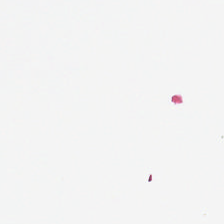Formalin-fixed paraffin-embedded section; H&E-stained tissue section; 0.5 microns per pixel. Field content = no tissue.
